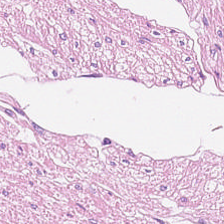Stain: H&E stain.
Preparation: formalin-fixed paraffin-embedded section.
Predominant tissue: muscularis.
